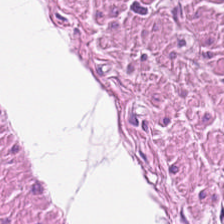H&E-stained tissue section — Q: What tissue type is shown here?
A: This is muscularis.
